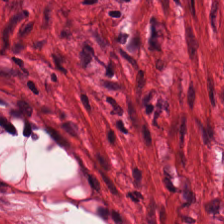H&E stain. This patch shows muscularis.
